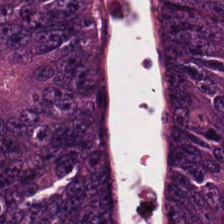H&E stain. Finding → colorectal adenocarcinoma epithelium.
